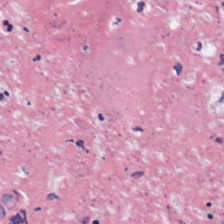H&E-stained tissue section showing necrotic debris.
